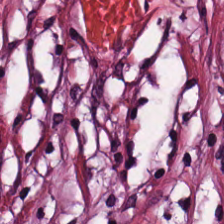H&E — Showing cancer-associated stroma.
